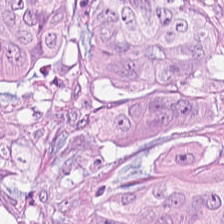H&E. Tissue — tumor epithelium.
